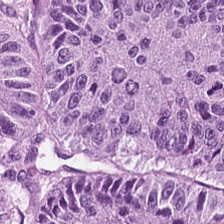H&E — This patch shows tumor epithelium.
